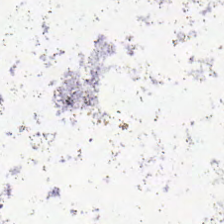FFPE tissue section. Hematoxylin and eosin — Empty field — no tissue.
